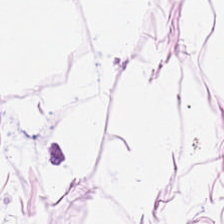Stain: hematoxylin and eosin.
Resolution: 0.5 µm/px.
Classification: adipose.
